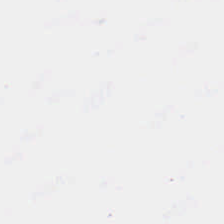Formalin-fixed paraffin-embedded section; H&E.
Q: What does this patch show?
A: The field shows background.
